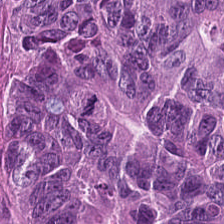H&E stain. Predominantly tumor epithelium.
